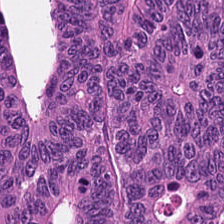Classification = colorectal adenocarcinoma.
